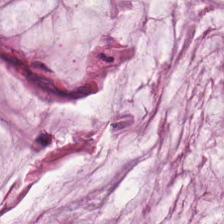Brightfield microscopy; H&E stain.
Showing mucin.
